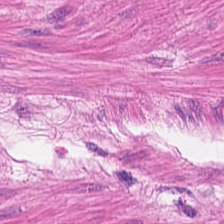Predominant tissue = muscularis.
